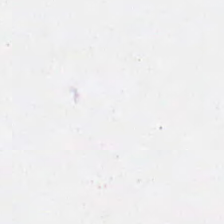224×224 pixel tile; brightfield; hematoxylin-and-eosin stained section — Background (no tissue).
